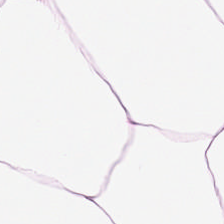H&E-stained tissue section · 0.5 µm per pixel · brightfield — Predominant tissue: adipocytes.
